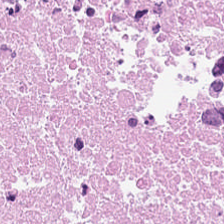H&E stain; 224×224 px tile — This patch shows necrotic debris.
